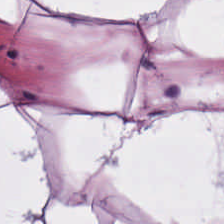Stain: H&E stain.
Tissue type: fat tissue.
